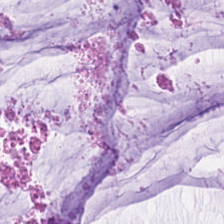H&E. Tissue type: extracellular mucin.
